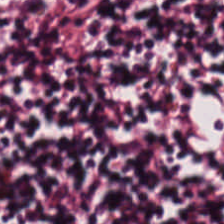Hematoxylin-and-eosin stained section.
Tissue type = lymphocyte aggregate.
